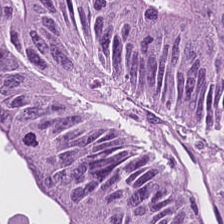H&E. The predominant tissue is tumor epithelium.
